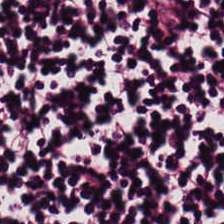224×224 px tile. FFPE tissue section. H&E stain.
The tissue type is lymphocytic infiltrate.
